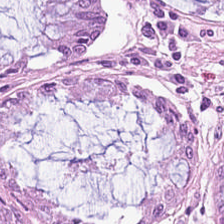Stain: H&E.
Resolution: 20× equivalent magnification.
Classification: normal colon mucosa.
